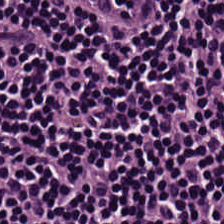Showing lymphoid infiltrate.
